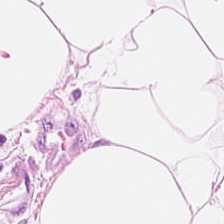Hematoxylin and eosin. {"tissue_type": "adipocytes"}
